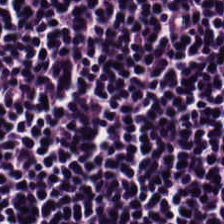H&E.
The tissue is lymphocytes.
